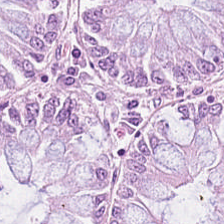H&E stain.
Finding — normal colon mucosa.
